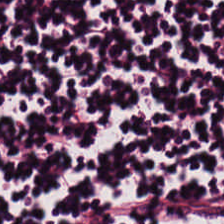Hematoxylin and eosin · whole-slide-image patch. Impression → lymphocytic infiltrate.
